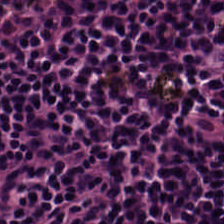H&E — Q: Classify this patch.
A: This is lymphoid infiltrate.
